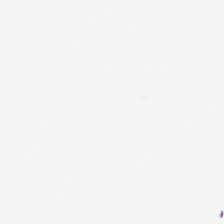The field content is background (no tissue).
